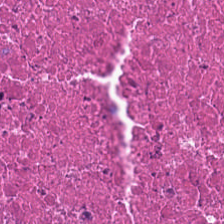H&E-stained tissue section — Q: Classify this patch.
A: Necrotic debris.
